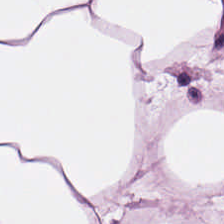H&E stain — This field is fat tissue.
